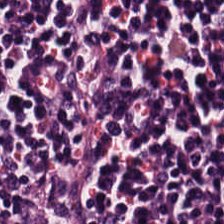Stain: H&E.
Resolution: 0.5 µm/px.
Tissue: lymphoid infiltrate.
